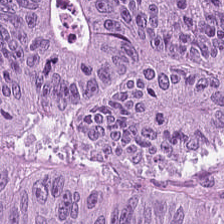Q: What tissue is shown?
A: The field shows adenocarcinoma.
